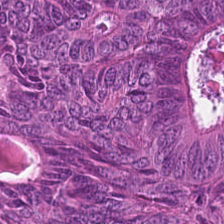Stain: H&E.
Predominant tissue: colorectal adenocarcinoma.
